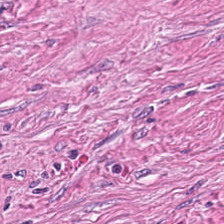H&E stain · FFPE. Predominantly desmoplastic stroma.
